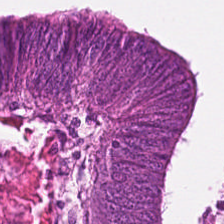Hematoxylin-and-eosin stained section — This field is malignant epithelium.
